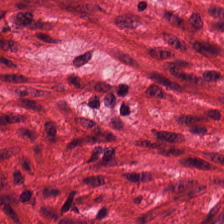H&E-stained section; the field shows smooth-muscle tissue.
